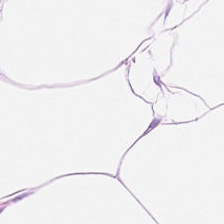Stain: H&E-stained tissue section.
Tissue class: fat tissue.
